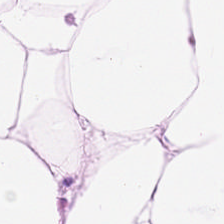H&E — adipocytes.
